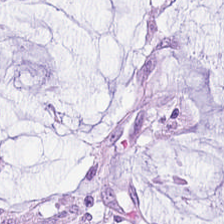H&E. Q: What tissue is shown?
A: Mucin.
